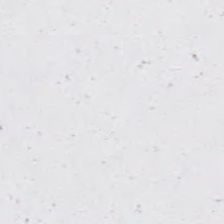Hematoxylin-and-eosin stained section — Field content — no tissue.
